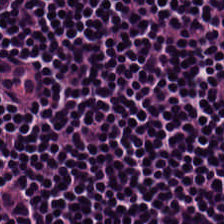H&E; whole-slide-image patch — Lymphocytes.
